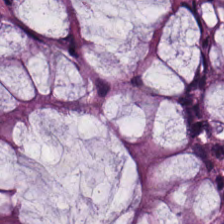This field is normal colon mucosa.
